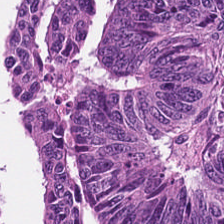H&E patch showing tumor epithelium.
